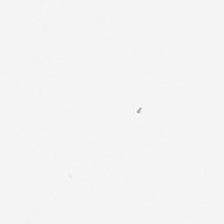H&E stain.
Q: What does this patch show?
A: The field shows no tissue.
